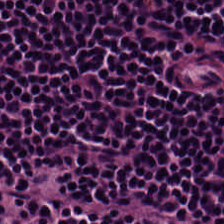224×224 pixel tile; hematoxylin and eosin; 0.5 µm per pixel. Predominant tissue = lymphocyte aggregate.
